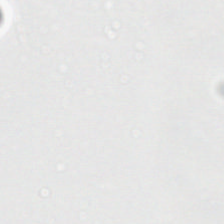H&E stain · 0.5 µm/px · 224×224 px patch — Empty background.
